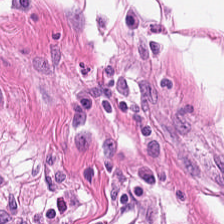Brightfield. H&E stain.
Q: What tissue type is shown here?
A: This is smooth-muscle tissue.
